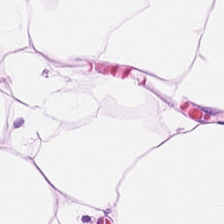H&E stain — {"tissue_type": "adipose"}
